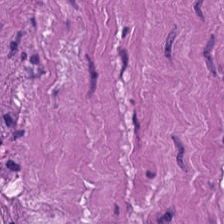This field is smooth-muscle tissue.
